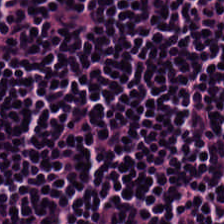Q: Classify this patch.
A: The field shows lymphocytes.
